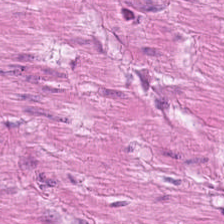H&E stain — Finding — smooth muscle.
